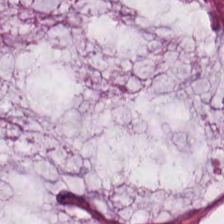FFPE tissue section; 224×224 px tile; hematoxylin-and-eosin stained section — The classification is mucin.
